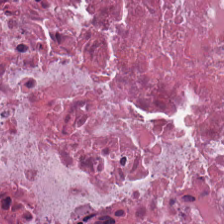Hematoxylin and eosin.
Q: What does this patch show?
A: This is debris.
